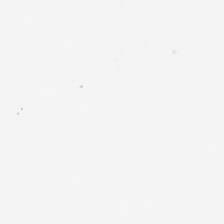H&E stain. 20× equivalent magnification.
Field content = background (no tissue).
